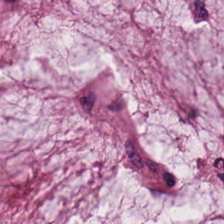Classification — mucin.
